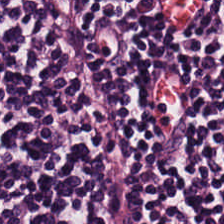H&E stain.
Q: What type of tissue is this?
A: The field shows lymphocytic infiltrate.
